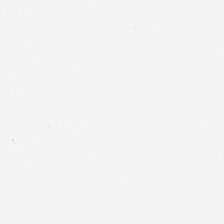H&E stain; 224×224 px tile. Classification: background.
